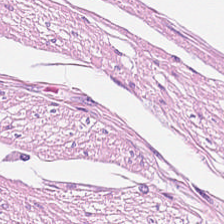Hematoxylin-and-eosin stained section. 0.5 microns per pixel — Tissue type — smooth muscle.
